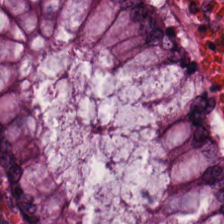Classification = benign colonic mucosa.
